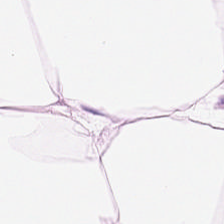Hematoxylin and eosin. 224×224 px patch. Impression → adipose.
